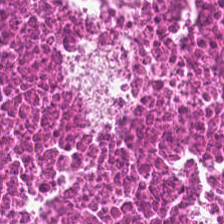FFPE tissue section; H&E-stained tissue section.
Tissue type — cellular debris.
